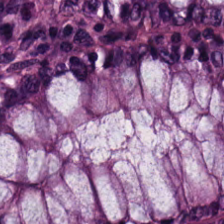0.5 µm/px; H&E-stained tissue section; 224×224 pixel tile.
Tissue class = benign colonic mucosa.
